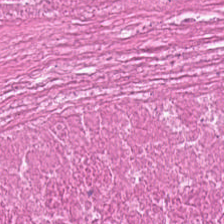Stain: hematoxylin-and-eosin stained section.
Tile size: 224×224 pixel tile.
Predominant tissue: debris.
